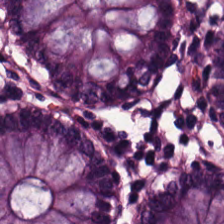FFPE; H&E-stained tissue section; 224×224 pixel tile.
Q: What does this patch show?
A: It is non-neoplastic colon mucosa.
